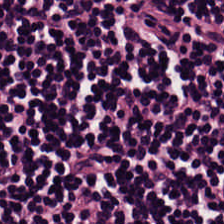Hematoxylin and eosin.
The predominant tissue is lymphocytes.
